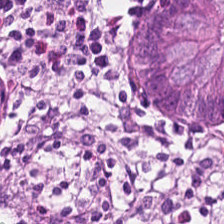Whole-slide-image patch; H&E — Q: What is shown here?
A: It is non-neoplastic colon mucosa.
